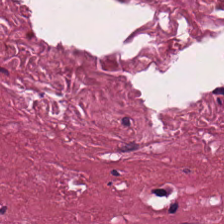FFPE tissue section; WSI patch; H&E-stained tissue section — Finding — cancer-associated stroma.
